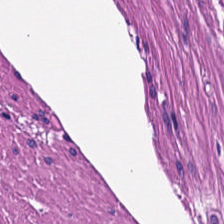H&E · whole-slide-image patch — Predominantly smooth-muscle tissue.
